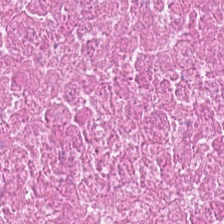This field is cellular debris.
